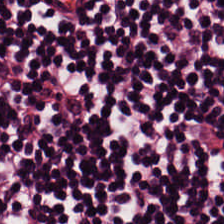H&E stain. Lymphoid infiltrate.
